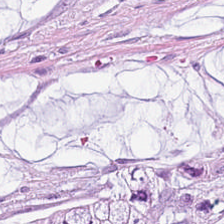Stain: H&E stain.
Tile size: 224×224 pixel tile.
Classification: mucus.
